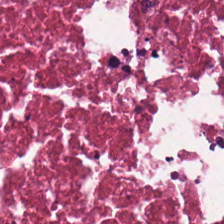224×224 px tile. Hematoxylin and eosin. Classification = cellular debris.
